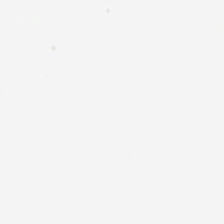Stain: H&E.
Tile size: 224×224 pixel tile.
Preparation: FFPE.
Content: background.
